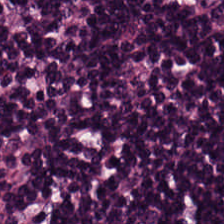224×224 px tile. H&E.
Finding — lymphocytes.
